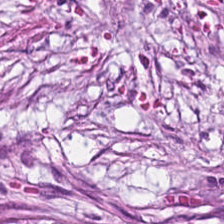{"tissue_type": "tumor stroma"}
